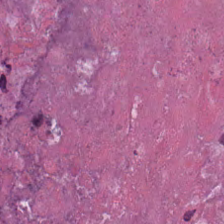H&E. Q: Classify this patch.
A: It is cellular debris.
